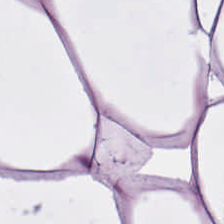H&E — Showing adipocytes.
